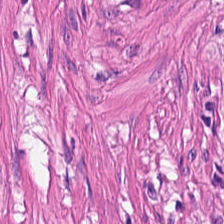Hematoxylin-and-eosin stained section. The tissue here is muscularis.
